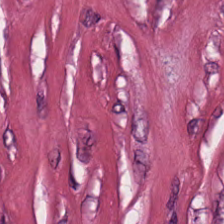Hematoxylin and eosin. The tissue type is cancer-associated stroma.
